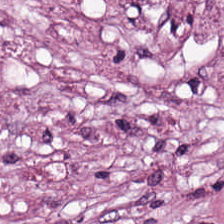Hematoxylin-and-eosin stained section — The tissue here is cancer-associated stroma.
